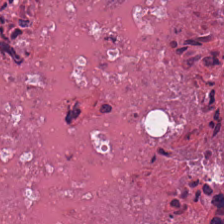224×224 px tile · H&E stain.
This field is cellular debris.
